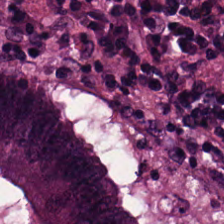224×224 px patch; FFPE tissue section; hematoxylin and eosin.
This patch shows malignant epithelium.
